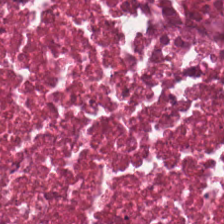H&E-stained tissue section. 224×224 pixel tile — Impression → debris.
